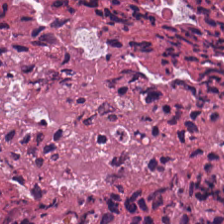Predominant tissue: debris.
